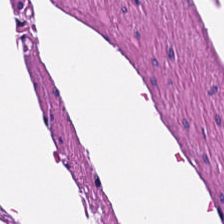224×224 px patch; H&E stain; brightfield. Tissue class: muscularis.
